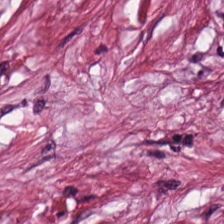The tissue here is desmoplastic stroma.
